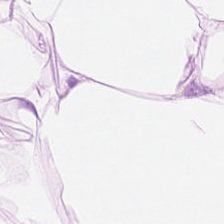224×224 px tile · hematoxylin and eosin · 20× equivalent magnification. The tissue type is fat tissue.
